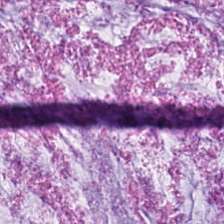The tissue type is extracellular mucin.
